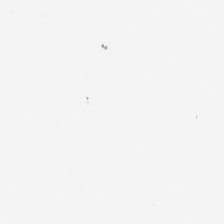Hematoxylin-and-eosin stained section. Q: What is shown in this field?
A: No tissue.
